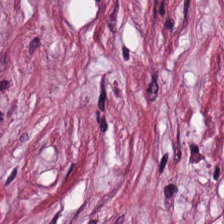H&E — The predominant tissue is cancer-associated stroma.
